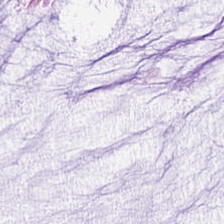H&E. Classification: extracellular mucin.
